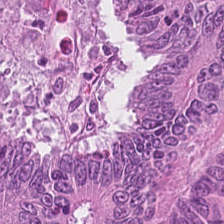Brightfield · 224×224 px tile · H&E-stained tissue section.
Q: What does this patch show?
A: It is malignant epithelium.
